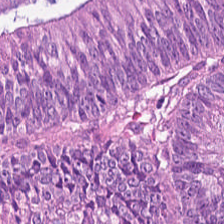The classification is adenocarcinoma.
